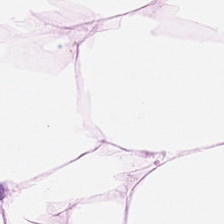Hematoxylin-and-eosin stained section; 224×224 pixel tile; formalin-fixed paraffin-embedded section — The tissue class is adipose.
